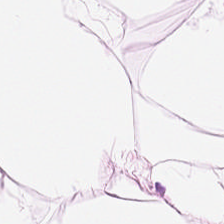Hematoxylin and eosin — Impression — adipose.
